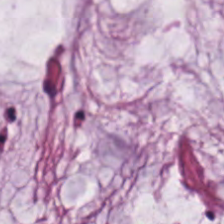This patch shows mucin.
